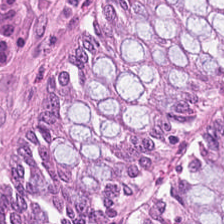H&E stain — Predominant tissue: normal colon mucosa.
